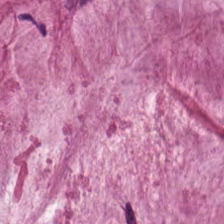Tissue = mucus.
